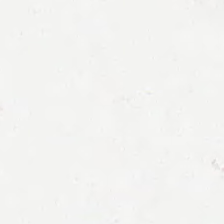Stain: H&E-stained tissue section.
Tile size: 224×224 px patch.
Resolution: 0.5 µm per pixel.
Content: background (no tissue).
